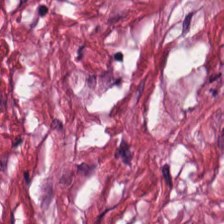Stain: hematoxylin and eosin.
Acquisition: WSI patch.
Predominant tissue: cancer-associated stroma.
